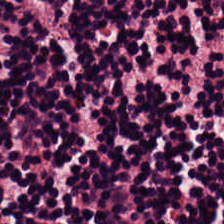H&E. Showing lymphocytes.
